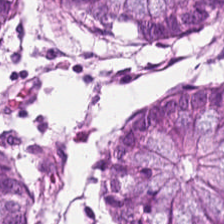FFPE tissue section. 224×224 pixel tile. H&E stain. {"tissue_type": "non-neoplastic colon mucosa"}
